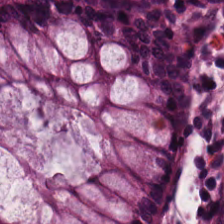H&E. FFPE. The tissue here is non-neoplastic colon mucosa.
